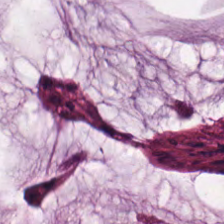Classification: extracellular mucin.
